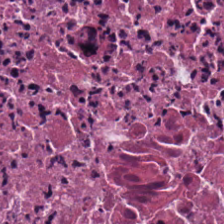Whole-slide-image patch; 0.5 µm/px; hematoxylin and eosin — The tissue type is debris.
